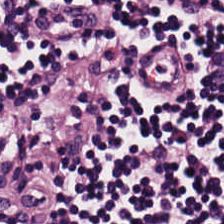0.5 µm per pixel · H&E — Q: What is shown here?
A: This is lymphocyte aggregate.
